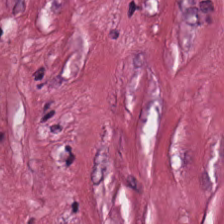Brightfield microscopy. Hematoxylin-and-eosin stained section. 0.5 µm per pixel — The tissue here is desmoplastic stroma.
